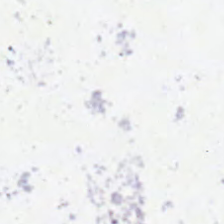Empty field — background.
